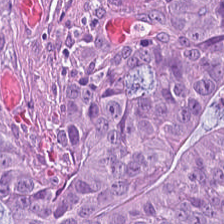H&E-stained section; the field shows colorectal adenocarcinoma.
